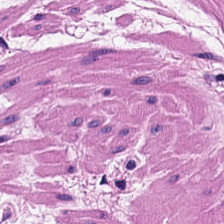H&E stain — Q: What tissue type is shown here?
A: This is smooth-muscle tissue.
